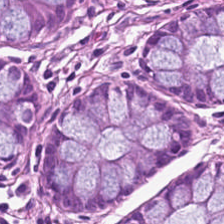Hematoxylin-and-eosin stained section. The tissue here is normal colon mucosa.
